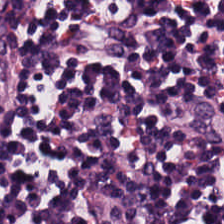Hematoxylin-and-eosin stained section — Histology → lymphoid infiltrate.
